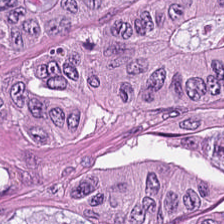Hematoxylin-and-eosin stained section; brightfield; FFPE tissue section.
{"tissue_type": "tumor epithelium"}
